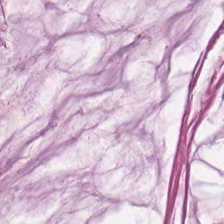Whole-slide-image patch. Hematoxylin-and-eosin stained section. 224×224 px tile — Histology → extracellular mucin.
